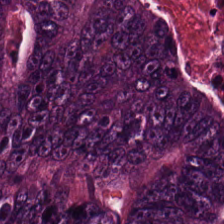Predominant tissue = adenocarcinoma.
